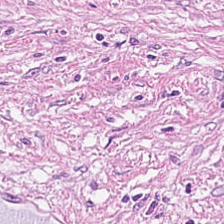Hematoxylin-and-eosin section: tumor stroma.
